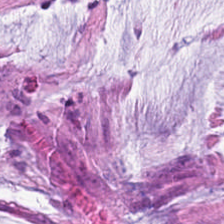Impression → mucin.
